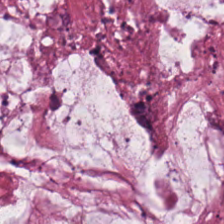H&E.
{"tissue_type": "mucus"}
